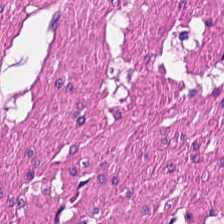Hematoxylin-and-eosin stained section — Tissue — muscularis.
